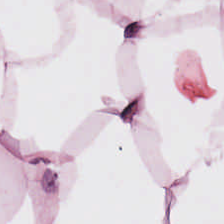Hematoxylin-and-eosin stained section · whole-slide-image patch · formalin-fixed paraffin-embedded section.
The tissue class is adipocytes.
